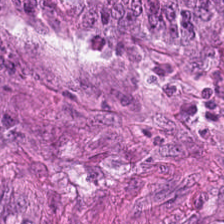H&E — adenocarcinoma.
